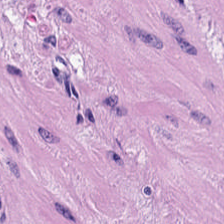FFPE; hematoxylin-and-eosin stained section. Showing smooth-muscle tissue.
